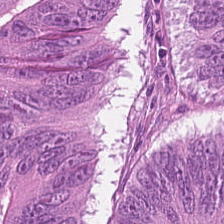H&E stain. The predominant tissue is tumor epithelium.
